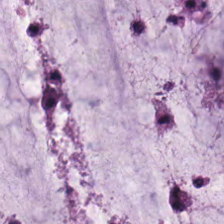Hematoxylin-and-eosin section: mucus.
